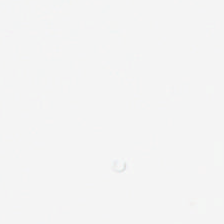H&E · brightfield · 224×224 pixel tile. Classification = background (no tissue).
